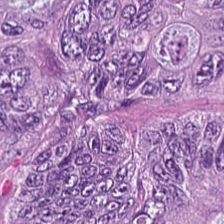Q: Identify the tissue.
A: It is tumor epithelium.
